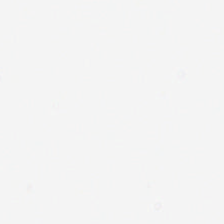Q: What is shown in this field?
A: Background.
